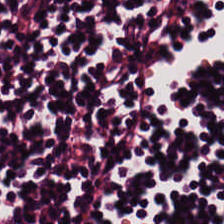Stain: H&E-stained tissue section.
Predominant tissue: lymphoid infiltrate.
